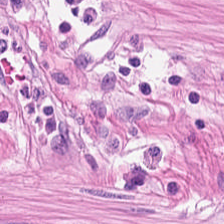Hematoxylin and eosin. 20× equivalent magnification. Formalin-fixed paraffin-embedded section. The tissue here is smooth muscle.
